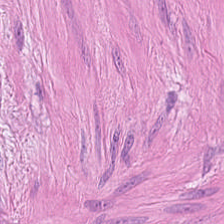H&E-stained tissue section — Impression → muscularis.
